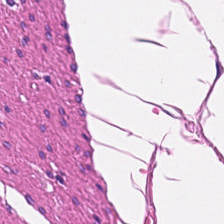224×224 px patch. Whole-slide-image patch. Hematoxylin and eosin. Impression — smooth muscle.
